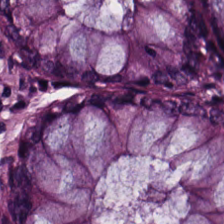Brightfield microscopy; hematoxylin and eosin. The tissue type is normal colon mucosa.
